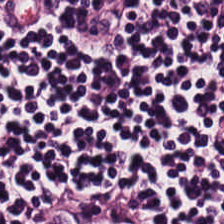H&E stain.
The predominant tissue is lymphocytic infiltrate.
